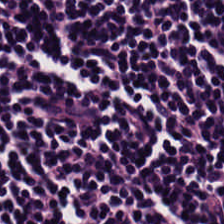The tissue here is lymphocyte aggregate.
